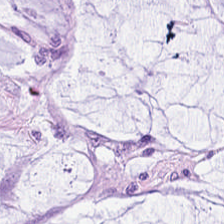Hematoxylin and eosin; 224×224 px patch.
Finding → mucus.
